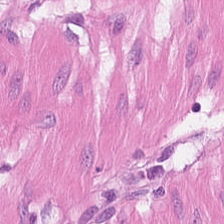The tissue here is smooth muscle.
